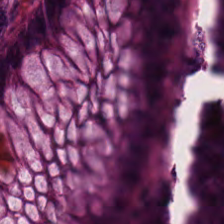Stain: H&E.
Preparation: FFPE tissue section.
Tile size: 224×224 px tile.
Predominant tissue: non-neoplastic colon mucosa.
